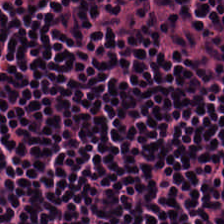{"tissue_type": "lymphoid infiltrate"}
